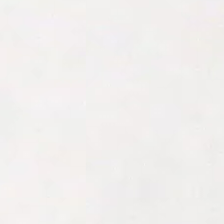H&E — Finding → background.
